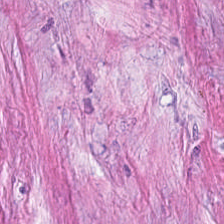Hematoxylin and eosin. Q: What tissue is shown?
A: The field shows desmoplastic stroma.
